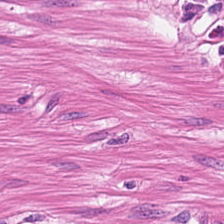Hematoxylin-and-eosin stained section — Tissue: muscularis.
